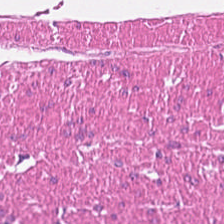H&E stain. Muscularis.
